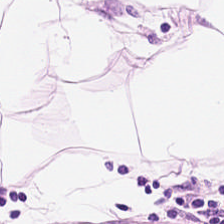Stain: H&E.
Predominant tissue: adipose tissue.
